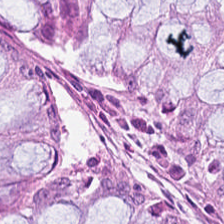Showing non-neoplastic colon mucosa.
